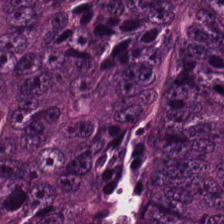Hematoxylin and eosin. The predominant tissue is adenocarcinoma.
